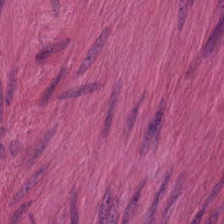H&E-stained tissue section showing muscularis.
